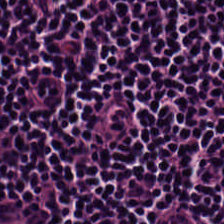Hematoxylin-and-eosin stained section · 0.5 µm per pixel — Q: What does this patch show?
A: Lymphocytes.
